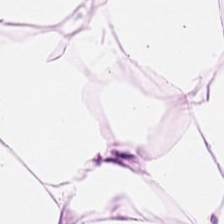Hematoxylin-and-eosin stained section. Predominantly adipose tissue.
